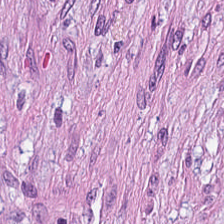Stain: H&E-stained tissue section.
Tissue type: cancer-associated stroma.
